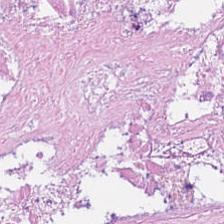H&E stain. Tissue type = debris.
